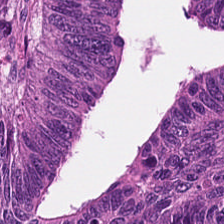Hematoxylin and eosin — Malignant epithelium.
